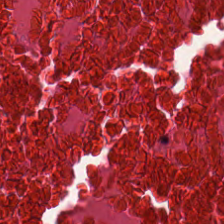Hematoxylin-and-eosin stained section. FFPE tissue section.
The tissue here is cellular debris.
